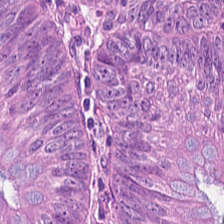Hematoxylin-and-eosin stained section.
This patch shows colorectal adenocarcinoma epithelium.
